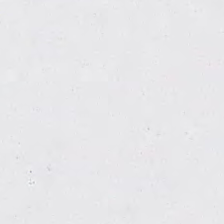Hematoxylin-and-eosin stained section.
Content — background (no tissue).
